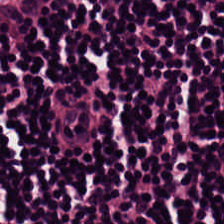0.5 µm per pixel · hematoxylin and eosin · FFPE. Q: Identify the tissue.
A: It is lymphocyte aggregate.
